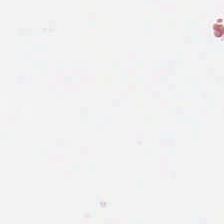H&E stain. Content — background (no tissue).
